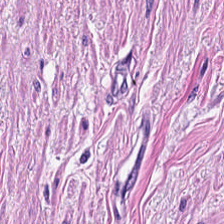Hematoxylin-and-eosin stained section — {"tissue_type": "smooth-muscle tissue"}
